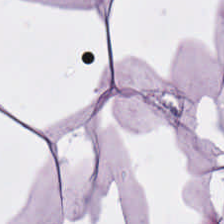The tissue is adipose tissue.
